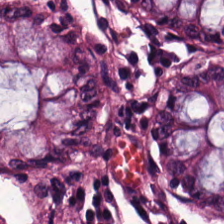20× equivalent magnification. H&E stain. Classification: benign colonic mucosa.
